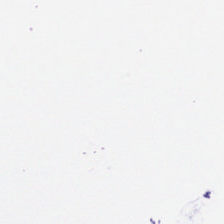H&E. Content: background.
